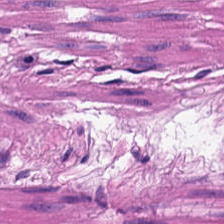Brightfield microscopy; hematoxylin and eosin; 0.5 µm/px. Smooth muscle.
